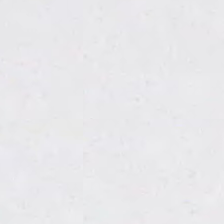FFPE. H&E stain.
Q: What is shown here?
A: This is empty background.
